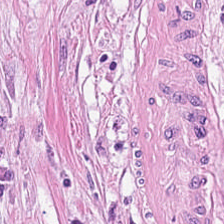0.5 microns per pixel · H&E-stained tissue section · 224×224 px patch — The tissue is desmoplastic stroma.
